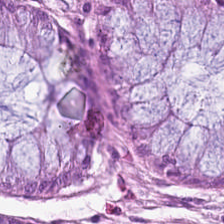H&E-stained tissue section showing non-neoplastic colon mucosa.
